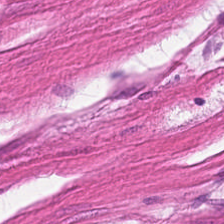Stain: H&E stain.
Tissue type: smooth-muscle tissue.
